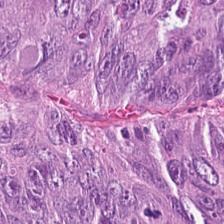H&E · WSI patch.
Tissue class: tumor epithelium.
